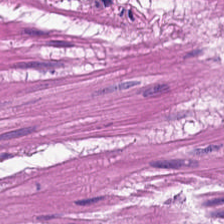20× equivalent magnification · H&E.
Q: What is the predominant tissue type?
A: The field shows muscularis.
